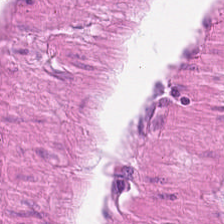Hematoxylin and eosin. Showing muscularis.
